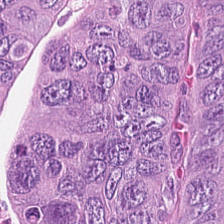H&E stain.
The tissue type is adenocarcinoma.
